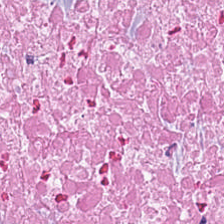Hematoxylin-and-eosin stained section · FFPE · 224×224 px patch. Q: What is shown in this field?
A: It is necrotic debris.
